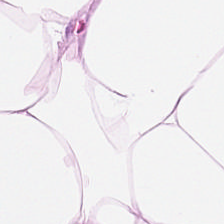Hematoxylin-and-eosin stained section — Tissue class — fat tissue.
